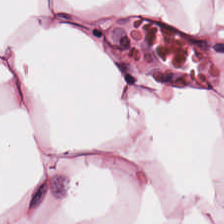The tissue here is adipose.
